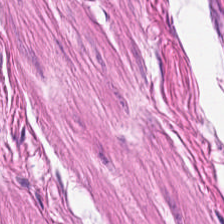Hematoxylin-and-eosin stained section; whole-slide-image patch; FFPE tissue section.
Classification: smooth-muscle tissue.
